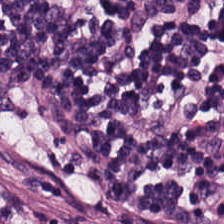H&E-stained tissue section · formalin-fixed paraffin-embedded section. This field is lymphocytes.
